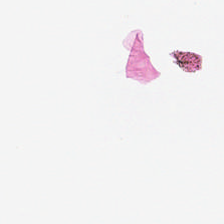224×224 px tile. H&E-stained tissue section — No tissue present; background only.
